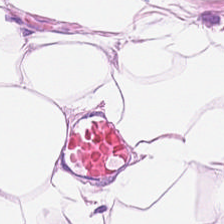H&E stain — The predominant tissue is adipocytes.
